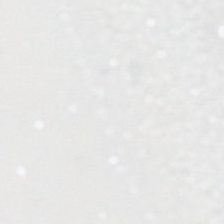Hematoxylin-and-eosin stained section · FFPE tissue section · 224×224 pixel tile.
{"content": "empty background"}
